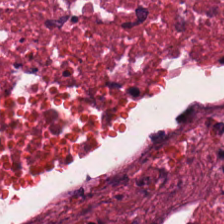Tissue = cellular debris.
